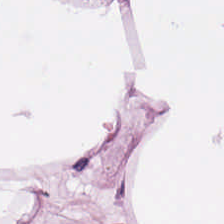Classification — adipose.
